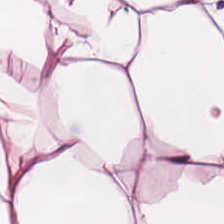Tissue type = adipose.
